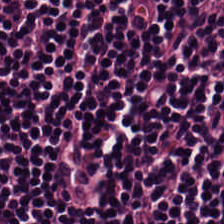Stain: H&E.
Tissue class: lymphocytes.
